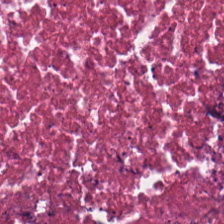The predominant tissue is cellular debris.
